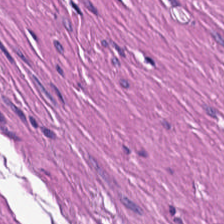Stain: H&E.
Acquisition: brightfield microscopy.
Tissue: smooth-muscle tissue.
